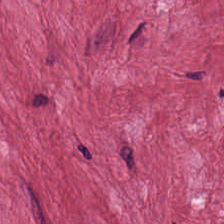H&E-stained tissue section.
Showing desmoplastic stroma.
